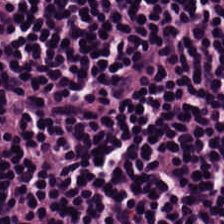Hematoxylin and eosin. Brightfield microscopy. Classification: lymphocytic infiltrate.
